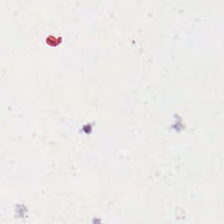FFPE tissue section. H&E-stained tissue section.
Q: Classify this patch.
A: This is empty background.
